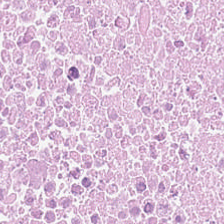H&E; WSI patch — This field is debris.
